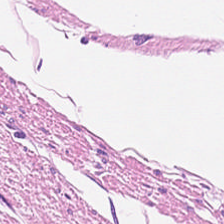H&E-stained tissue section — The classification is smooth muscle.
